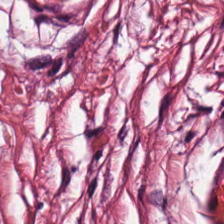Stain: hematoxylin and eosin.
Acquisition: WSI patch.
Tissue type: tumor stroma.
